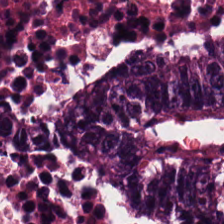Hematoxylin and eosin.
{"tissue_type": "malignant epithelium"}
